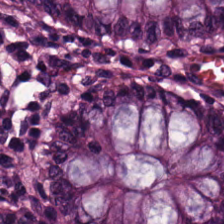H&E-stained tissue section.
Showing benign colonic mucosa.
